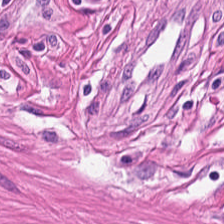Finding → muscularis.
